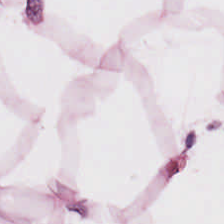Hematoxylin and eosin; 224×224 px tile — Predominantly fat tissue.
